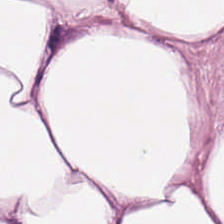Predominant tissue = adipose tissue.
